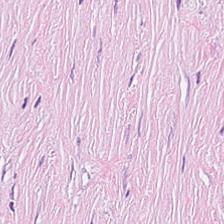20× equivalent magnification. Hematoxylin and eosin. Showing tumor stroma.
